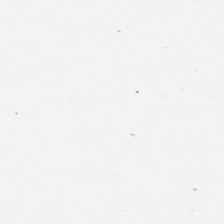H&E — This field is background (no tissue).
